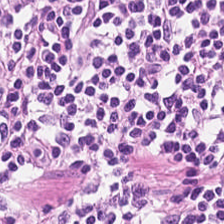224×224 pixel tile; H&E. Classification = lymphoid infiltrate.
